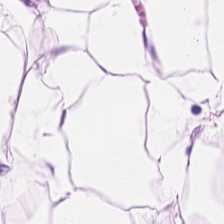Hematoxylin-and-eosin stained section; whole-slide-image patch.
Adipocytes.
